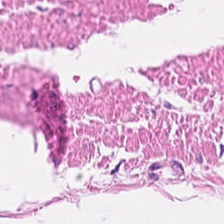Whole-slide-image patch; hematoxylin-and-eosin stained section. Q: What tissue type is shown here?
A: It is smooth muscle.
